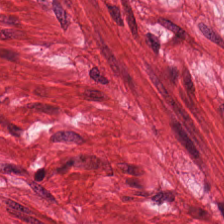H&E-stained tissue section. 20× equivalent magnification — Q: Identify the tissue.
A: It is smooth muscle.
